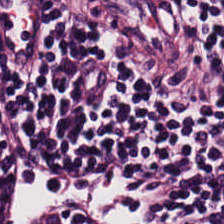Predominantly lymphocyte aggregate.
